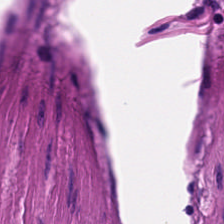Stain: H&E stain.
Acquisition: brightfield.
Tissue: smooth muscle.
